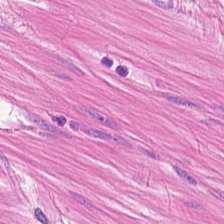H&E. Whole-slide-image patch — Showing muscularis.
